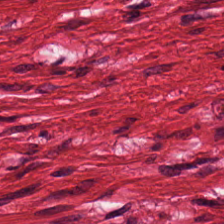224×224 px tile; 0.5 µm per pixel; H&E stain — Q: What is shown in this field?
A: The field shows muscularis.
